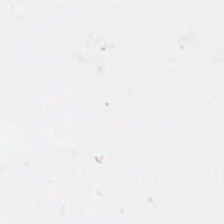Formalin-fixed paraffin-embedded section; H&E stain; 0.5 µm/px. Q: What does this patch show?
A: This is background.
